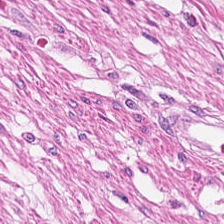H&E-stained tissue section · 0.5 µm/px — The predominant tissue is muscularis.
